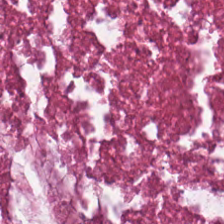This field is cellular debris.
